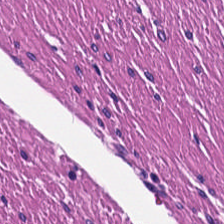Hematoxylin-and-eosin stained section. Histology — muscularis.
